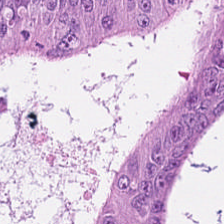Stain: H&E.
Resolution: 0.5 µm per pixel.
Classification: tumor epithelium.
